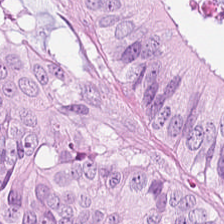Brightfield. H&E. FFPE — Q: What does this patch show?
A: The field shows colorectal adenocarcinoma.
